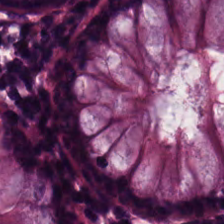Hematoxylin and eosin; formalin-fixed paraffin-embedded section.
Impression → normal colonic mucosa.
